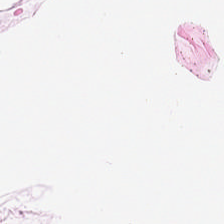Stain: hematoxylin and eosin.
Tissue class: fat tissue.
